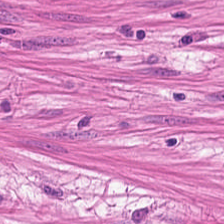H&E; formalin-fixed paraffin-embedded section; 20× equivalent magnification — Q: What type of tissue is this?
A: The field shows smooth muscle.
